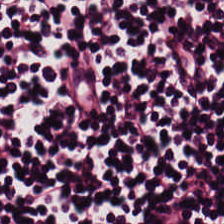H&E — Lymphocytes.
